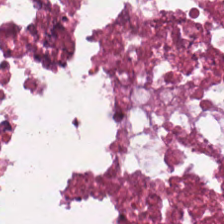Q: What is shown in this field?
A: Necrotic debris.
